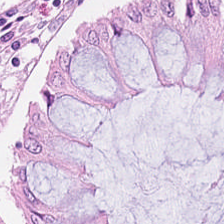Hematoxylin and eosin.
Tissue class = benign colonic mucosa.
